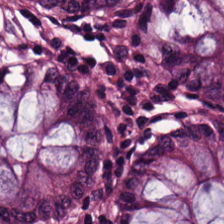Hematoxylin-and-eosin stained section. Q: What tissue is shown?
A: It is benign colonic mucosa.
